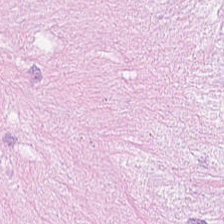H&E-stained tissue section.
The tissue type is desmoplastic stroma.
